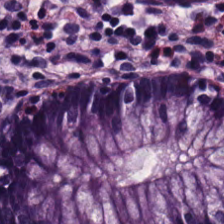Hematoxylin and eosin · formalin-fixed paraffin-embedded section — The classification is non-neoplastic colon mucosa.
